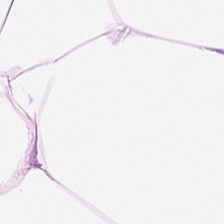Hematoxylin-and-eosin stained section — This field is adipose.
